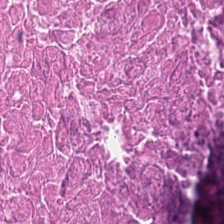Stain: hematoxylin-and-eosin stained section.
Predominant tissue: debris.
